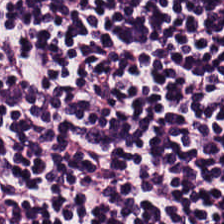Stain: H&E stain.
Classification: lymphocyte aggregate.
